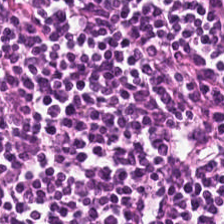Brightfield microscopy. H&E-stained tissue section. 224×224 px patch. Finding → lymphoid infiltrate.
